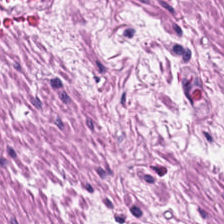H&E. 0.5 µm/px.
The tissue here is muscularis.
